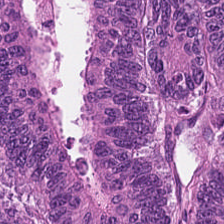Brightfield microscopy. Hematoxylin and eosin.
Tissue class = adenocarcinoma.
